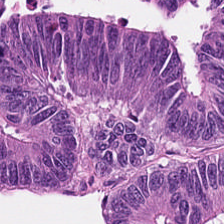224×224 px tile. 0.5 µm/px. H&E — The predominant tissue is colorectal adenocarcinoma epithelium.
